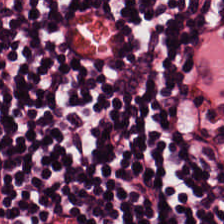Stain: hematoxylin-and-eosin stained section.
Classification: lymphoid infiltrate.
